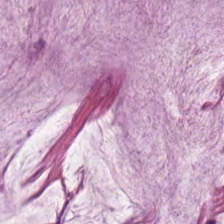Brightfield. 0.5 µm per pixel. Hematoxylin and eosin. Tissue type — mucin.
